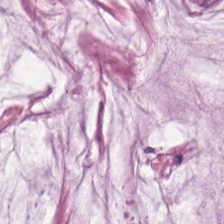Hematoxylin-and-eosin stained section.
{"tissue_type": "mucus"}
